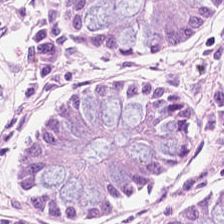0.5 µm per pixel; hematoxylin and eosin — This patch shows non-neoplastic colon mucosa.
